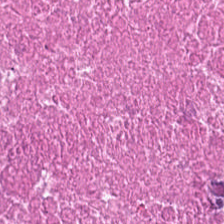Finding — cellular debris.
